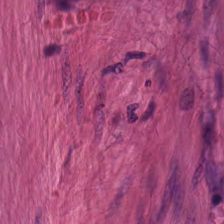Impression → muscularis.
